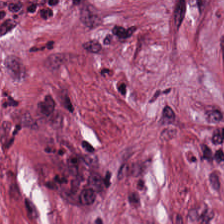Hematoxylin and eosin. Predominant tissue: tumor stroma.
